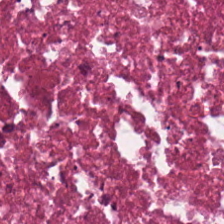FFPE tissue section · H&E-stained tissue section. Q: Identify the tissue.
A: This is necrotic debris.
